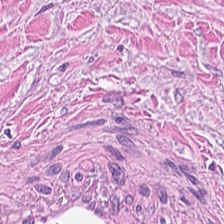224×224 pixel tile; H&E.
{"tissue_type": "tumor-associated stroma"}
